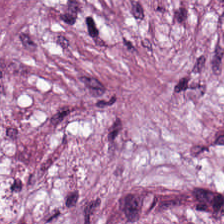H&E-stained tissue section. Predominant tissue = tumor-associated stroma.
